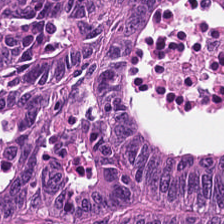Brightfield. 0.5 µm per pixel. H&E stain. Malignant epithelium.
